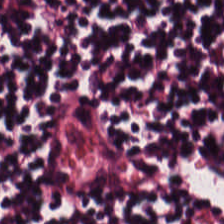224×224 px patch; 0.5 µm/px; hematoxylin and eosin. The tissue class is lymphoid infiltrate.
